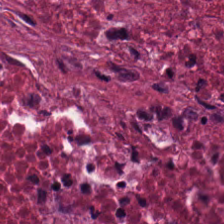Stain: H&E stain.
Predominant tissue: debris.
